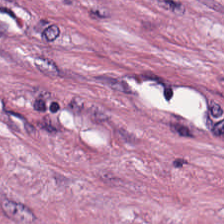The predominant tissue is tumor-associated stroma.
